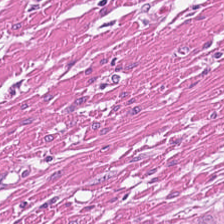H&E-stained tissue section. Q: What type of tissue is this?
A: This is smooth muscle.
